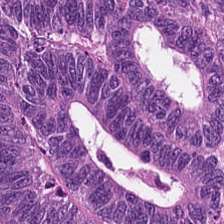Stain: H&E-stained tissue section.
Tissue class: adenocarcinoma.
